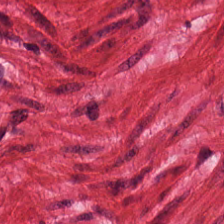H&E patch showing smooth-muscle tissue.
